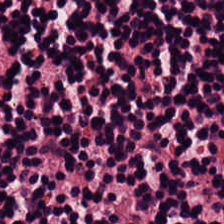Stain: hematoxylin and eosin.
Tissue: lymphocytic infiltrate.
